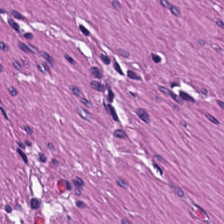H&E stain; formalin-fixed paraffin-embedded section — Histology — smooth muscle.
